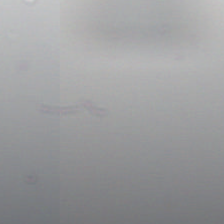Field content — background.
